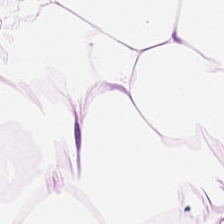Q: What is the predominant tissue type?
A: Adipose tissue.
